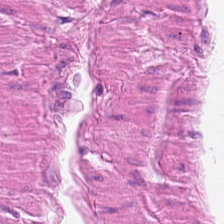FFPE · H&E-stained tissue section — The tissue here is smooth muscle.
